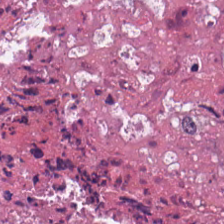FFPE tissue section; 20× equivalent magnification; H&E-stained tissue section.
This field is debris.
